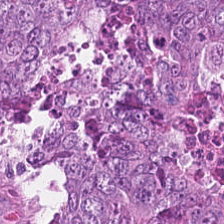The tissue is tumor epithelium.
